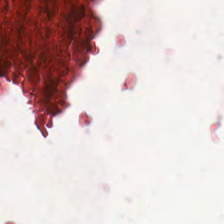H&E; brightfield — Tissue — debris.
